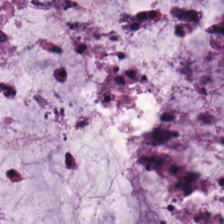0.5 µm/px; H&E — The classification is mucus.
